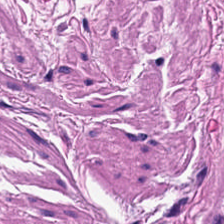Brightfield; H&E.
Predominant tissue = smooth muscle.
